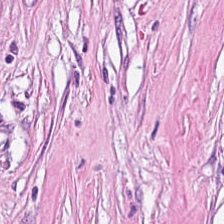H&E — The tissue class is cancer-associated stroma.
